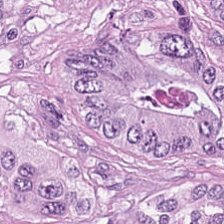H&E stain. 224×224 pixel tile — {"tissue_type": "colorectal adenocarcinoma epithelium"}
